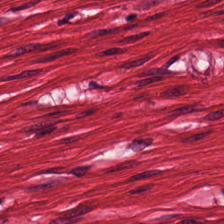Predominant tissue = muscularis.
